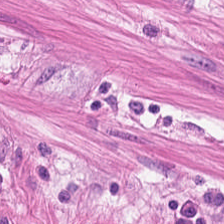Hematoxylin-and-eosin stained section. 224×224 px patch. This patch shows smooth muscle.
